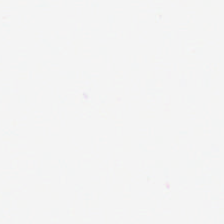Q: What is shown here?
A: This is background (no tissue).
